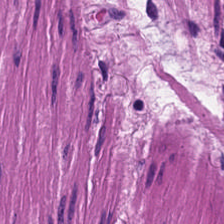Hematoxylin and eosin. Predominantly smooth-muscle tissue.
